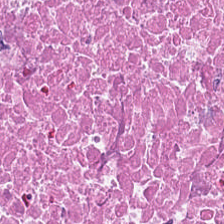Hematoxylin and eosin. Tissue = necrotic debris.
